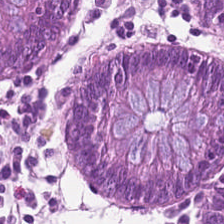H&E stain.
The tissue here is normal colon mucosa.
